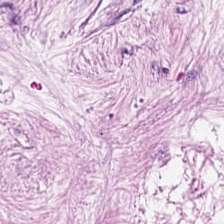Hematoxylin and eosin.
{"tissue_type": "desmoplastic stroma"}
